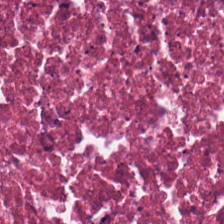This field is necrotic debris.
